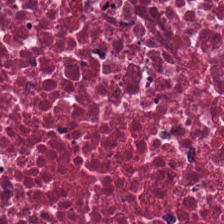Hematoxylin and eosin — The tissue class is debris.
